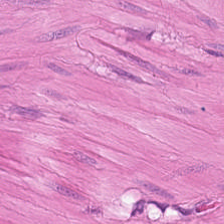FFPE · brightfield · hematoxylin-and-eosin stained section. The predominant tissue is smooth muscle.
